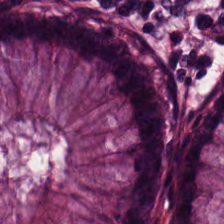H&E stain. Whole-slide-image patch.
Normal colonic mucosa.
